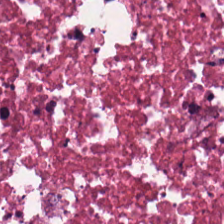Hematoxylin-and-eosin stained section; WSI patch; 224×224 px tile — Showing debris.
